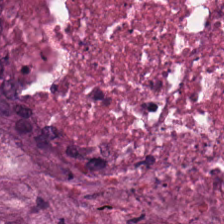Hematoxylin-and-eosin stained section. WSI patch.
Tissue type — necrotic debris.
